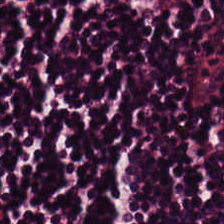H&E-stained tissue section showing lymphocytes.
